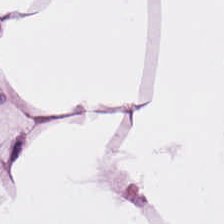Stain: H&E.
Tile size: 224×224 pixel tile.
Tissue: adipose.
